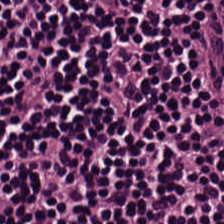H&E-stained tissue section showing lymphocytic infiltrate.
